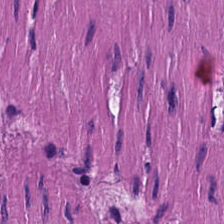Hematoxylin and eosin. Showing smooth muscle.
